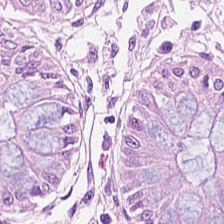H&E-stained tissue section.
Predominantly normal colonic mucosa.
